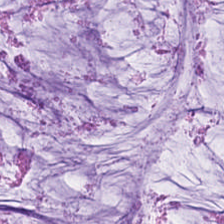Hematoxylin-and-eosin stained section — Mucus.
